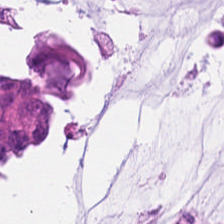224×224 px tile · H&E-stained tissue section · FFPE tissue section. Q: What tissue is shown?
A: This is mucus.
